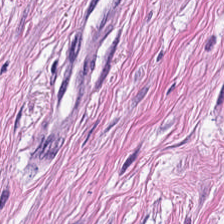{"tissue_type": "muscularis"}
